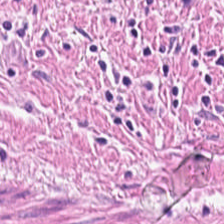H&E stain; 224×224 px patch. The predominant tissue is smooth muscle.
